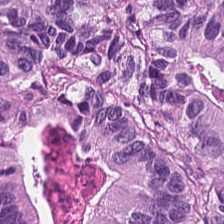Hematoxylin-and-eosin stained section — {"tissue_type": "malignant epithelium"}
